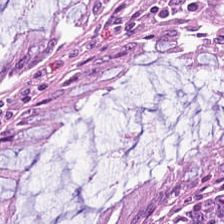H&E-stained tissue section · formalin-fixed paraffin-embedded section.
Finding — normal colon mucosa.
